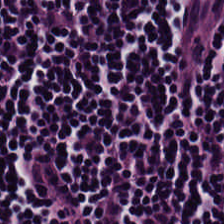Histology → lymphoid infiltrate.
